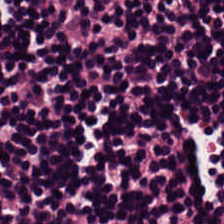H&E-stained tissue section — Lymphocytes.
